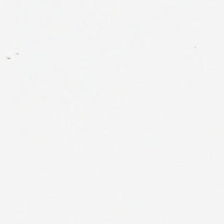This field is background (no tissue).
